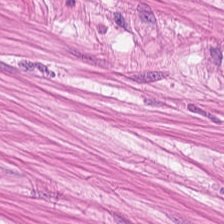Predominant tissue: muscularis.
